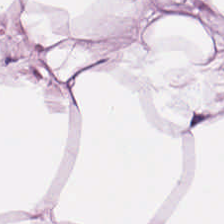H&E. Whole-slide-image patch.
Adipocytes.
